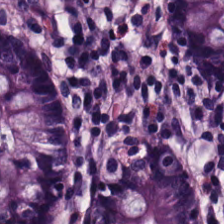Whole-slide-image patch · hematoxylin and eosin.
Histology — non-neoplastic colon mucosa.
